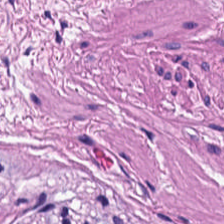0.5 µm/px; H&E stain; formalin-fixed paraffin-embedded section.
Classification — smooth muscle.
